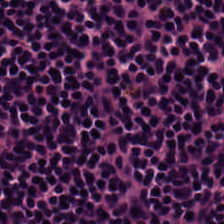Hematoxylin-and-eosin stained section. {"tissue_type": "lymphocyte aggregate"}
